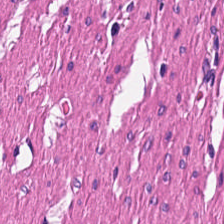H&E-stained tissue section. 224×224 pixel tile — {"tissue_type": "smooth muscle"}
